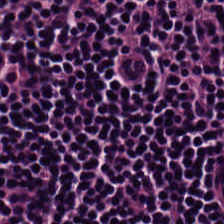The classification is lymphocyte aggregate.
